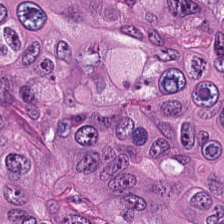Hematoxylin-and-eosin stained section — This patch shows malignant epithelium.
